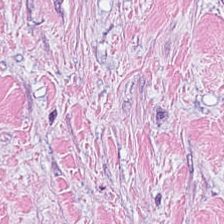Hematoxylin and eosin — Q: Classify this patch.
A: It is desmoplastic stroma.
